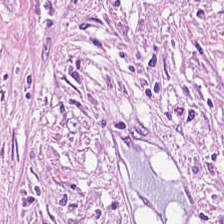{"tissue_type": "tumor-associated stroma"}
